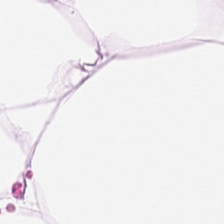Hematoxylin-and-eosin stained section.
The tissue is adipose.
